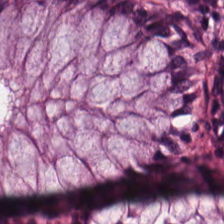Stain: H&E.
Tissue: non-neoplastic colon mucosa.
